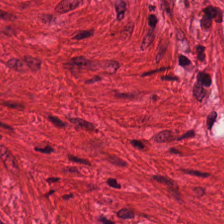224×224 pixel tile. H&E-stained tissue section.
The predominant tissue is smooth muscle.
